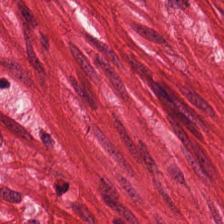Tissue type: smooth muscle.
